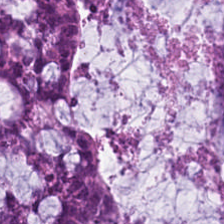Tissue class = mucin.
